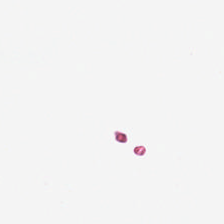Formalin-fixed paraffin-embedded section. Hematoxylin and eosin. This field is background (no tissue).
